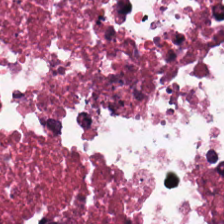H&E-stained tissue section.
This patch shows necrotic debris.
